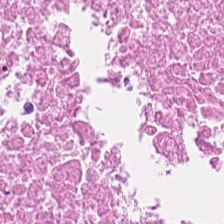Histology → debris.
